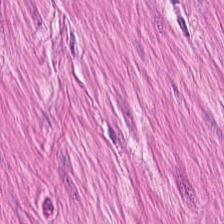H&E · FFPE tissue section.
Tissue type — smooth muscle.
